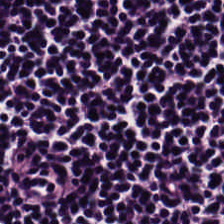Tissue type — lymphocyte aggregate.
